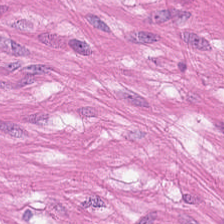FFPE. 224×224 px tile. H&E stain — Histology — smooth muscle.
